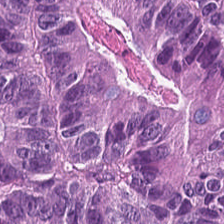H&E · 224×224 px patch. Classification = colorectal adenocarcinoma epithelium.
